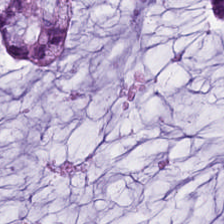Stain: hematoxylin and eosin.
Tissue class: extracellular mucin.
